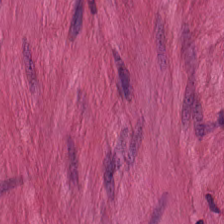H&E · 224×224 pixel tile — The tissue type is smooth-muscle tissue.
